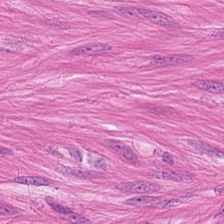Impression → smooth-muscle tissue.
